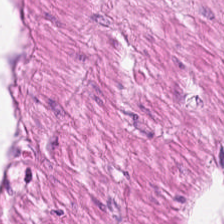Hematoxylin-and-eosin stained section; formalin-fixed paraffin-embedded section; 0.5 µm per pixel. This patch shows smooth-muscle tissue.
